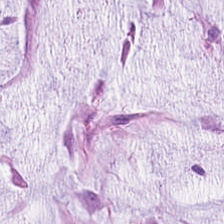H&E patch showing mucin.
